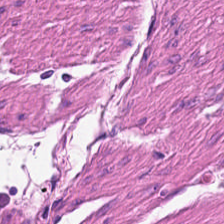H&E — Tissue: smooth-muscle tissue.
